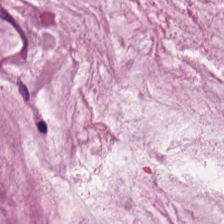Brightfield microscopy; H&E; 224×224 pixel tile.
The tissue here is mucin.
